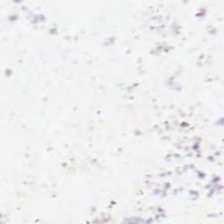The content is background (no tissue).
